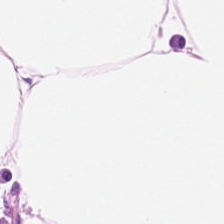Hematoxylin and eosin — Predominantly adipocytes.
